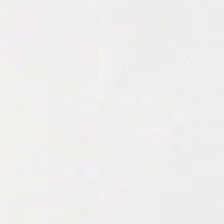FFPE · hematoxylin and eosin · whole-slide-image patch — {"content": "empty background"}
